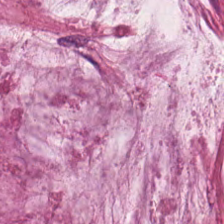{"tissue_type": "mucus"}
